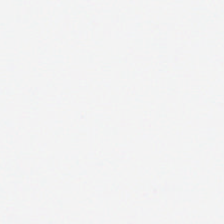FFPE tissue section; H&E.
Field content — background (no tissue).
